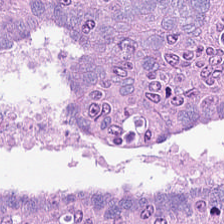Hematoxylin and eosin — {"tissue_type": "colorectal adenocarcinoma epithelium"}
